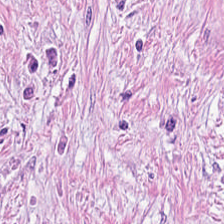Hematoxylin-and-eosin stained section; 20× equivalent magnification; WSI patch.
Showing cancer-associated stroma.
